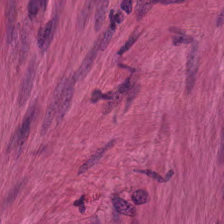H&E stain — Impression — smooth muscle.
